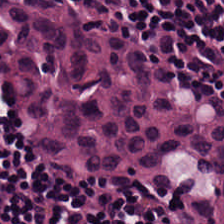Impression — lymphocyte aggregate.
